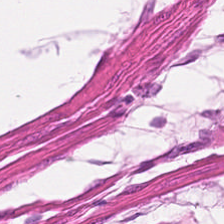Q: What is shown here?
A: The field shows smooth muscle.
